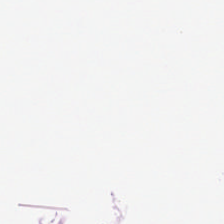H&E stain; brightfield; 20× equivalent magnification. Q: What type of tissue is this?
A: Adipocytes.
